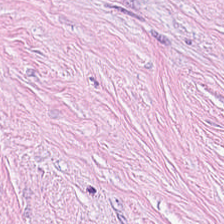Hematoxylin and eosin.
{"tissue_type": "tumor-associated stroma"}
